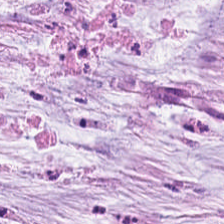H&E; 20× equivalent magnification — Tissue type = mucin.
